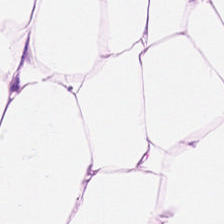Tissue class = adipose.
